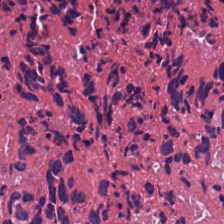Impression — necrotic debris.
